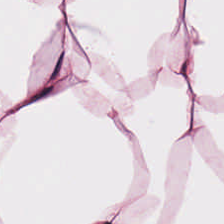Stain: hematoxylin-and-eosin stained section.
Tissue: adipose tissue.
